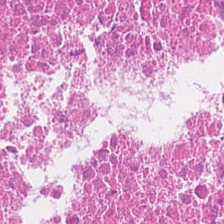H&E-stained tissue section. WSI patch. 0.5 microns per pixel. This patch shows cellular debris.
